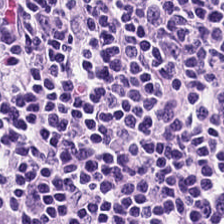Hematoxylin and eosin. Lymphoid infiltrate.
